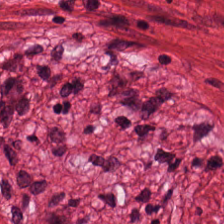Finding — smooth-muscle tissue.
